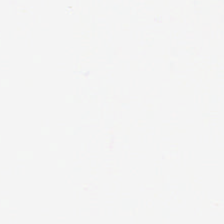Hematoxylin-and-eosin stained section. Brightfield microscopy.
This patch shows background.
